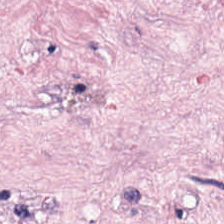Formalin-fixed paraffin-embedded section · hematoxylin and eosin. The predominant tissue is cancer-associated stroma.
